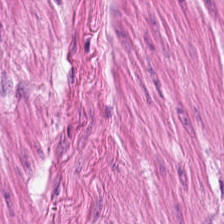H&E.
Classification = muscularis.
